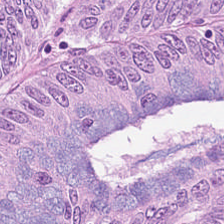Tumor epithelium.
